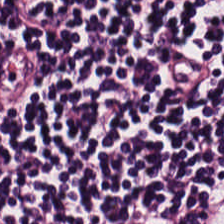Stain: hematoxylin-and-eosin stained section.
Tile size: 224×224 px patch.
Tissue type: lymphocytic infiltrate.
